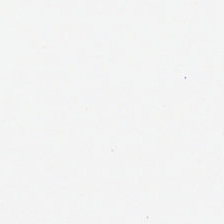224×224 px patch; H&E stain. The field content is background (no tissue).
